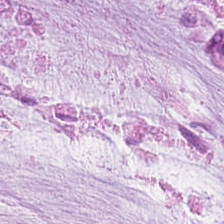H&E-stained tissue section.
Classification = mucin.
